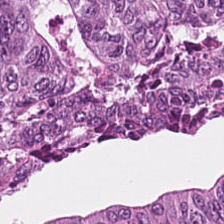0.5 µm/px. FFPE tissue section. Hematoxylin and eosin — Classification: tumor epithelium.
